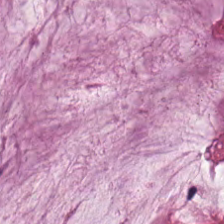Hematoxylin and eosin.
{"tissue_type": "mucin"}
